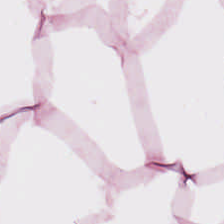Hematoxylin and eosin; formalin-fixed paraffin-embedded section. Q: Identify the tissue.
A: This is adipose.
